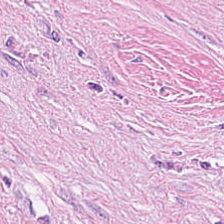Stain: H&E-stained tissue section.
Predominant tissue: tumor stroma.
